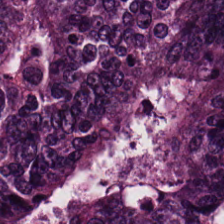H&E.
The predominant tissue is malignant epithelium.
